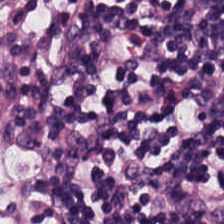0.5 microns per pixel · hematoxylin and eosin.
Lymphocytes.
